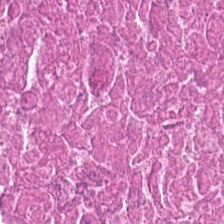This patch shows debris.
